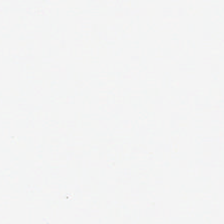{"content": "background (no tissue)"}
